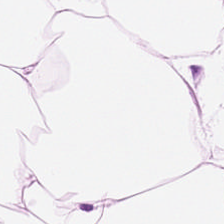H&E.
This field is adipose.
